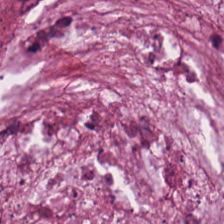WSI patch. H&E stain. The tissue type is extracellular mucin.
